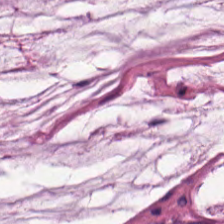Tissue type = mucus.
